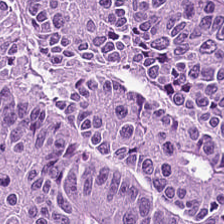Hematoxylin-and-eosin stained section. Histology → tumor epithelium.
